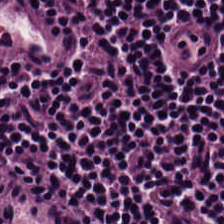H&E-stained tissue section — The predominant tissue is lymphocytic infiltrate.
